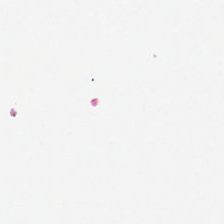H&E. 0.5 microns per pixel.
Classification: no tissue.
